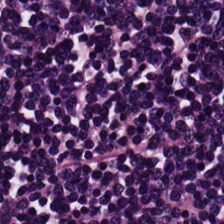Hematoxylin-and-eosin stained section; 224×224 pixel tile; 20× equivalent magnification — Lymphocytic infiltrate.
